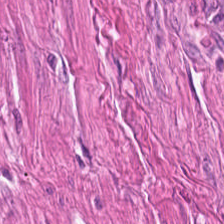Stain: H&E-stained tissue section.
Preparation: formalin-fixed paraffin-embedded section.
Predominant tissue: smooth muscle.
